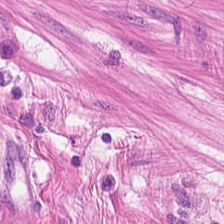Hematoxylin-and-eosin stained section.
Impression — smooth muscle.
